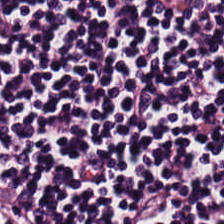Impression — lymphocytic infiltrate.
